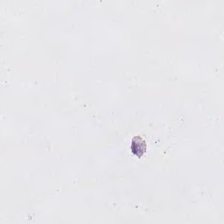Hematoxylin and eosin; 224×224 px patch; formalin-fixed paraffin-embedded section. Q: What is shown here?
A: Empty background.
